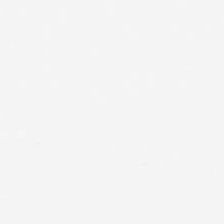Formalin-fixed paraffin-embedded section; hematoxylin and eosin. {"content": "no tissue"}
